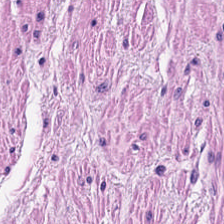Showing smooth-muscle tissue.
